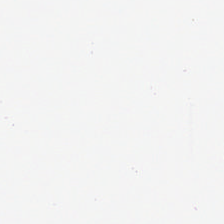Showing adipose tissue.
